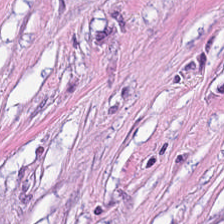224×224 px patch · 0.5 µm/px · H&E-stained tissue section — {"tissue_type": "desmoplastic stroma"}
